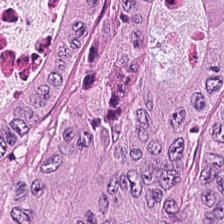Hematoxylin-and-eosin stained section — Predominantly tumor epithelium.
